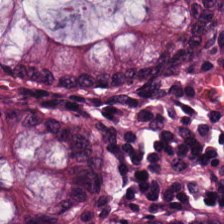224×224 pixel tile. Hematoxylin and eosin. 20× equivalent magnification — Q: What is shown here?
A: It is normal colon mucosa.
